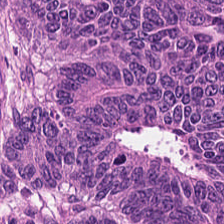H&E stain. The predominant tissue is malignant epithelium.
